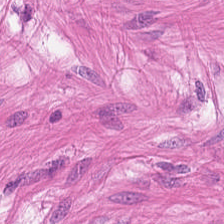Stain: H&E-stained tissue section.
Classification: smooth muscle.
